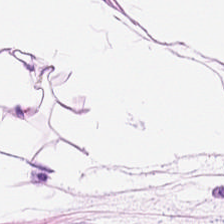Predominant tissue: adipose tissue.
